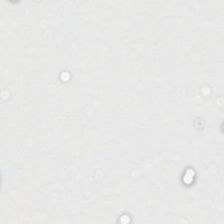Stain: hematoxylin-and-eosin stained section.
Acquisition: whole-slide-image patch.
Classification: empty background.
